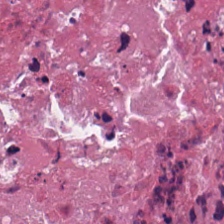Stain: H&E.
Tissue: debris.
